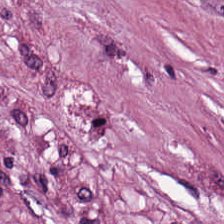{"tissue_type": "desmoplastic stroma"}
